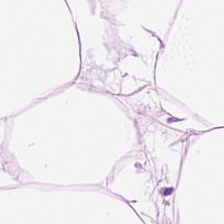Hematoxylin-and-eosin stained section. 0.5 microns per pixel.
Predominant tissue — adipose tissue.
